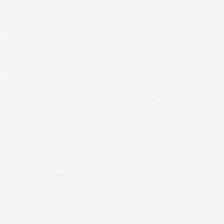Hematoxylin-and-eosin stained section — Q: What is shown in this field?
A: This is no tissue.
